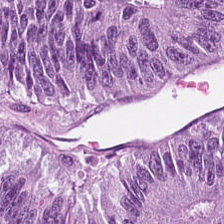Hematoxylin-and-eosin stained section — Impression → malignant epithelium.
